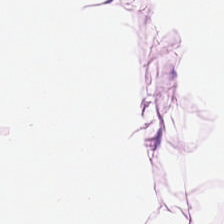Classification — adipose tissue.
